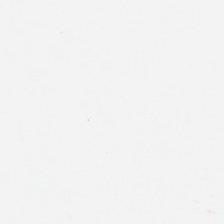H&E-stained tissue section; 224×224 pixel tile — Finding → background (no tissue).
